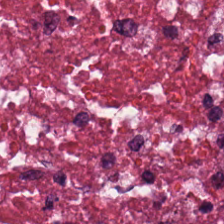Stain: H&E stain.
Tissue class: debris.
